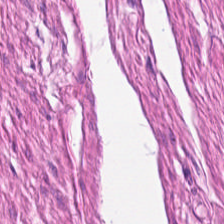Classification = smooth muscle.
